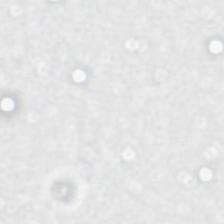Hematoxylin-and-eosin stained section.
Impression → empty background.
